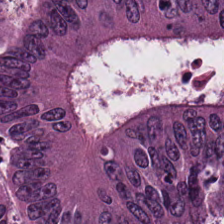Whole-slide-image patch. H&E-stained tissue section — The tissue here is malignant epithelium.
